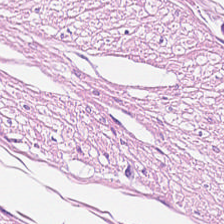H&E-stained tissue section showing smooth muscle.
